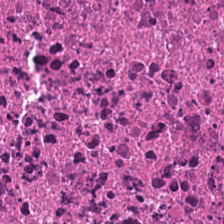H&E-stained tissue section · brightfield microscopy.
Predominantly debris.
